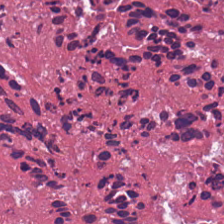H&E — debris.
